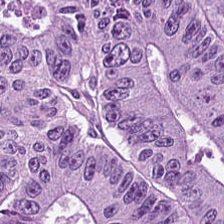H&E-stained tissue section — Classification: tumor epithelium.
